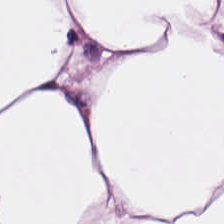Stain: H&E.
Tissue type: adipocytes.
